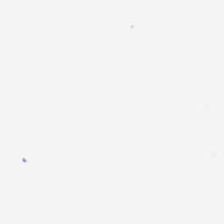Whole-slide-image patch; H&E stain — Empty background.
